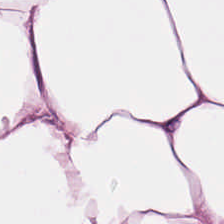Hematoxylin-and-eosin stained section. The predominant tissue is fat tissue.
